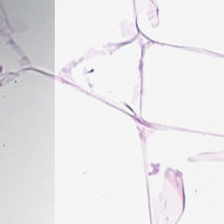Stain: hematoxylin and eosin.
Tissue: fat tissue.
